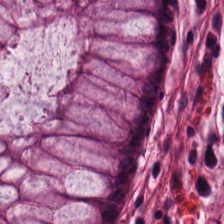Stain: H&E.
Predominant tissue: non-neoplastic colon mucosa.
